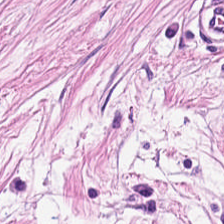H&E stain. Tissue class = tumor stroma.
